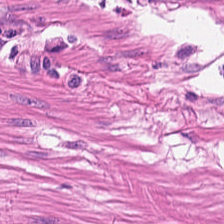H&E.
Q: What tissue is shown?
A: The field shows muscularis.
